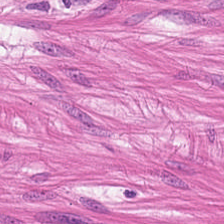H&E-stained tissue section; 224×224 pixel tile — Finding — smooth muscle.
